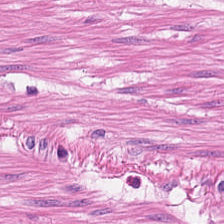0.5 microns per pixel. H&E-stained tissue section. Predominantly muscularis.
